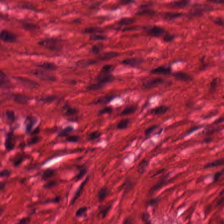Tissue = muscularis.
